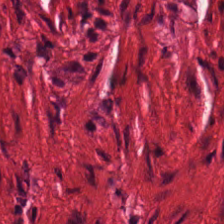Stain: H&E stain.
Predominant tissue: smooth-muscle tissue.
